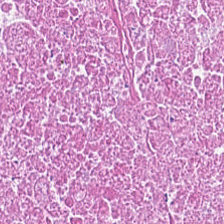Q: What is shown in this field?
A: It is necrotic debris.
